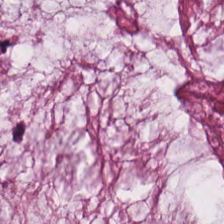Stain: H&E-stained tissue section.
Tile size: 224×224 pixel tile.
Preparation: formalin-fixed paraffin-embedded section.
Tissue class: mucus.
